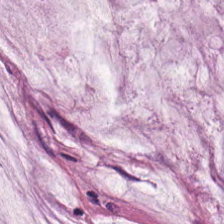H&E stain.
Impression → mucin.
